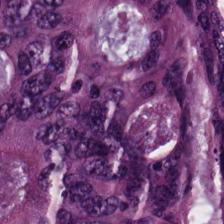Brightfield microscopy; FFPE tissue section; H&E.
Finding — tumor epithelium.
